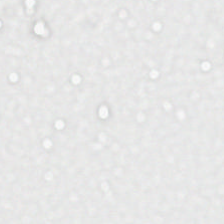Stain: hematoxylin and eosin.
Tile size: 224×224 pixel tile.
Classification: no tissue.
